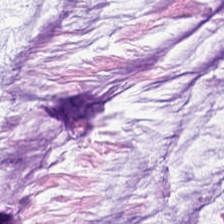FFPE · H&E-stained tissue section · brightfield.
Tissue type = mucin.
